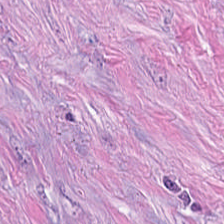Stain: hematoxylin and eosin.
Tissue class: tumor-associated stroma.
